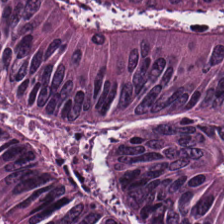Q: What tissue type is shown here?
A: This is adenocarcinoma.
